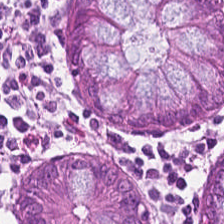H&E stain. Q: What tissue type is shown here?
A: Normal colon mucosa.
